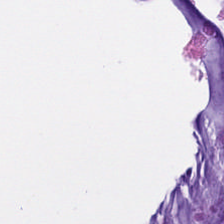Hematoxylin-and-eosin stained section. This field is mucus.
